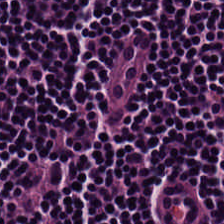H&E-stained tissue section — The tissue here is lymphoid infiltrate.
